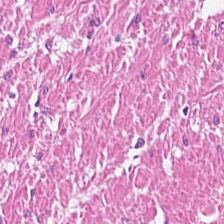Hematoxylin and eosin — The classification is muscularis.
